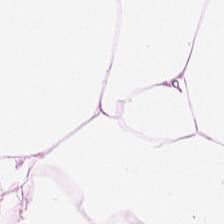Hematoxylin and eosin.
Q: What is shown in this field?
A: This is fat tissue.
